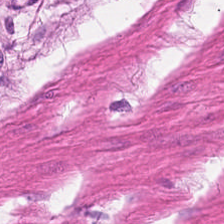Muscularis.
